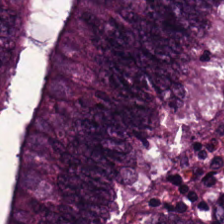20× equivalent magnification. H&E-stained tissue section. 224×224 px tile — Q: Classify this patch.
A: The field shows tumor epithelium.
